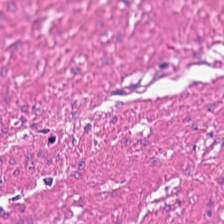Tissue type: smooth-muscle tissue.
